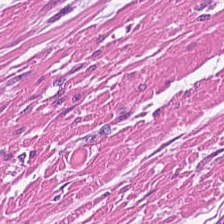The classification is smooth-muscle tissue.
